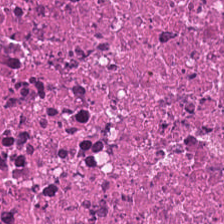Finding — cellular debris.
